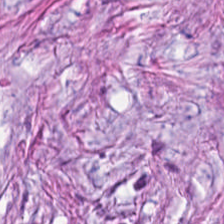224×224 px patch; hematoxylin-and-eosin stained section — This field is cancer-associated stroma.
